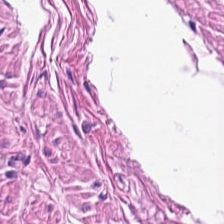224×224 px tile · hematoxylin-and-eosin stained section · FFPE tissue section — The predominant tissue is muscularis.
